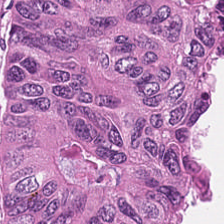224×224 pixel tile · WSI patch · H&E. This patch shows necrotic debris.
